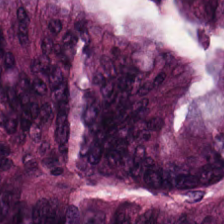0.5 microns per pixel; FFPE tissue section; H&E stain.
This patch shows colorectal adenocarcinoma epithelium.
